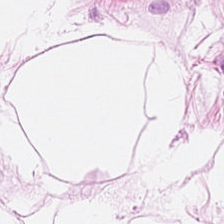Q: What type of tissue is this?
A: This is adipose.
